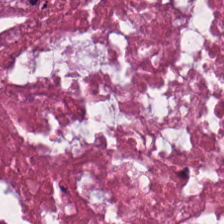Q: What is shown here?
A: Cellular debris.
